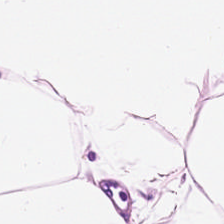224×224 pixel tile; H&E — Tissue class = adipocytes.
